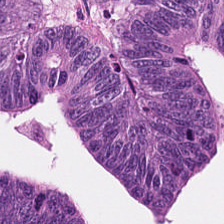FFPE; hematoxylin and eosin.
Tissue class = colorectal adenocarcinoma.
